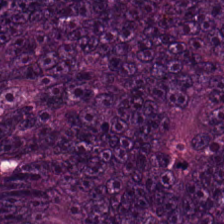Whole-slide-image patch · H&E-stained tissue section — This patch shows tumor epithelium.
